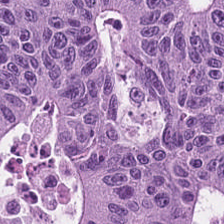H&E-stained tissue section. Q: What tissue is shown?
A: Colorectal adenocarcinoma.
